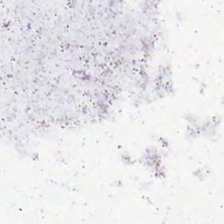0.5 µm/px; H&E-stained tissue section. No tissue present; background only.
